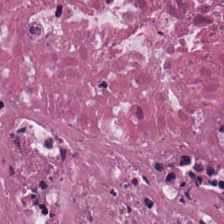Classification = cellular debris.
